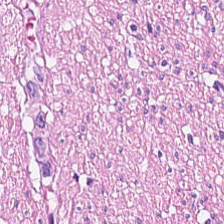H&E — smooth-muscle tissue.
